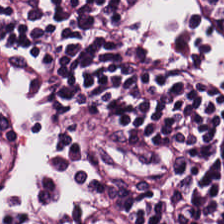H&E stain. {"tissue_type": "lymphocytes"}
